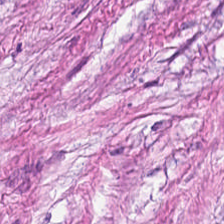Tissue type = tumor-associated stroma.
